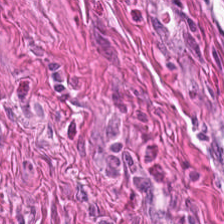Hematoxylin and eosin; 224×224 px tile.
Smooth-muscle tissue.
